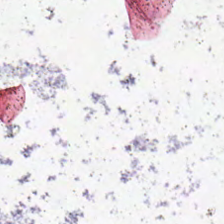Hematoxylin-and-eosin stained section. {"content": "background"}
